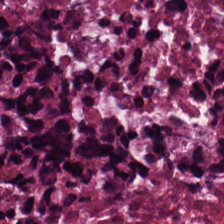FFPE tissue section. Hematoxylin-and-eosin stained section.
Q: Classify this patch.
A: Cellular debris.
